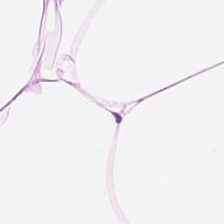H&E stain.
Finding — adipose.
